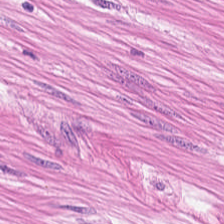The tissue type is muscularis.
